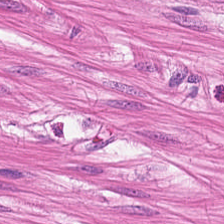Hematoxylin and eosin — This patch shows smooth-muscle tissue.
